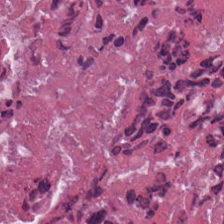20× equivalent magnification · hematoxylin-and-eosin stained section.
Q: What is shown in this field?
A: It is cellular debris.
